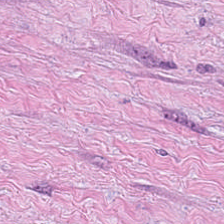Hematoxylin and eosin.
This patch shows tumor-associated stroma.
